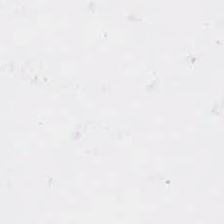H&E stain — {"content": "empty background"}
